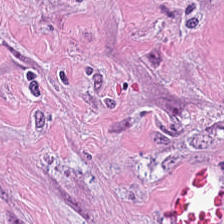Stain: hematoxylin and eosin.
Tissue class: tumor stroma.
